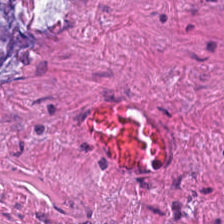Stain: H&E-stained tissue section.
Tissue: mucin.
